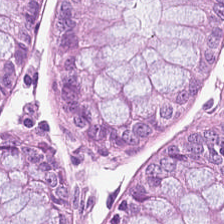H&E-stained tissue section; 224×224 pixel tile; formalin-fixed paraffin-embedded section.
Tissue class = benign colonic mucosa.
